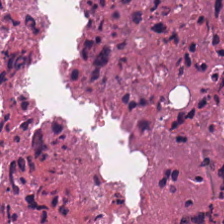This patch shows cellular debris.
